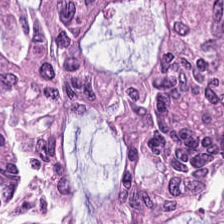Hematoxylin-and-eosin stained section.
The predominant tissue is adenocarcinoma.
